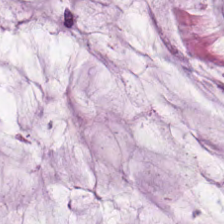0.5 microns per pixel · H&E stain. Mucin.
